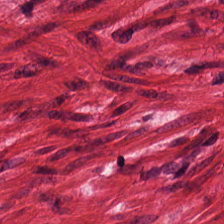Hematoxylin-and-eosin stained section. The predominant tissue is muscularis.
